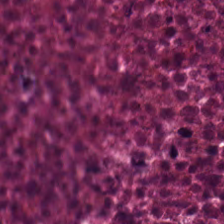Stain: hematoxylin and eosin.
Resolution: 0.5 µm per pixel.
Preparation: FFPE tissue section.
Tissue: necrotic debris.
